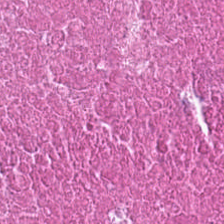H&E-stained tissue section.
This patch shows necrotic debris.
